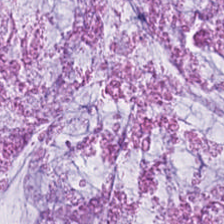The predominant tissue is mucus.
